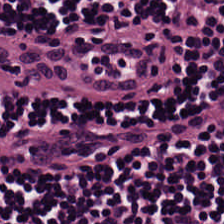Hematoxylin and eosin; 20× equivalent magnification; 224×224 px patch.
The tissue class is lymphocytic infiltrate.
